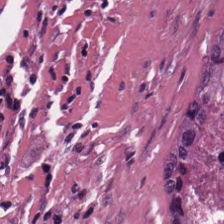H&E-stained tissue section; 224×224 pixel tile — Q: What does this patch show?
A: The field shows debris.
